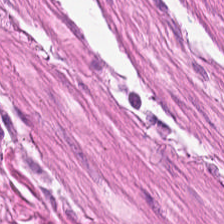Hematoxylin-and-eosin stained section · 0.5 microns per pixel — Showing smooth-muscle tissue.
